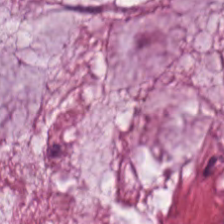H&E — extracellular mucin.
